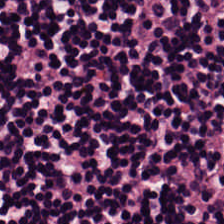Stain: hematoxylin and eosin.
Tile size: 224×224 px patch.
Tissue class: lymphocytic infiltrate.
